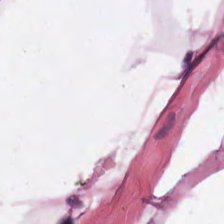H&E stain — Tissue class: adipose.
